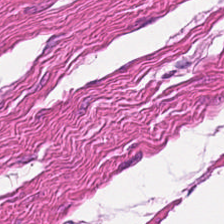Hematoxylin-and-eosin stained section — The predominant tissue is muscularis.
